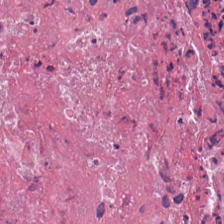H&E-stained tissue section; FFPE tissue section.
Tissue class: cellular debris.
